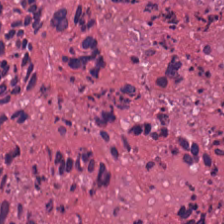Histology → cellular debris.
